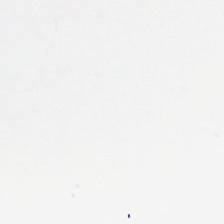Hematoxylin and eosin.
Empty field — background.
